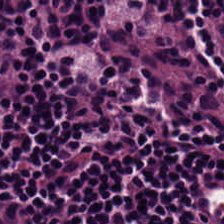The classification is lymphocyte aggregate.
